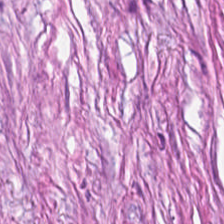H&E stain. 224×224 px tile. Brightfield microscopy — This patch shows cancer-associated stroma.
